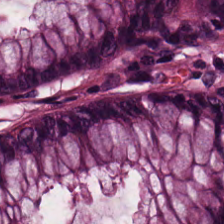0.5 µm/px · H&E stain. Q: What is the predominant tissue type?
A: Non-neoplastic colon mucosa.
